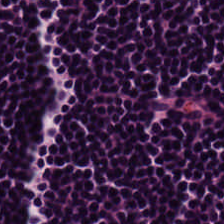Stain: H&E-stained tissue section.
Predominant tissue: lymphoid infiltrate.
